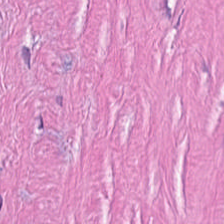Hematoxylin and eosin. Desmoplastic stroma.
